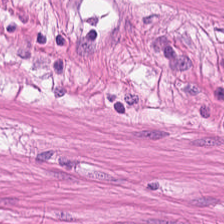0.5 microns per pixel · FFPE tissue section · hematoxylin and eosin.
{"tissue_type": "smooth muscle"}
